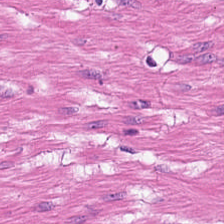H&E-stained tissue section; 224×224 px patch — Showing muscularis.
